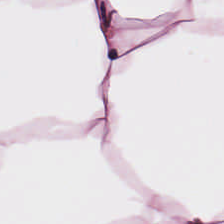H&E; 224×224 pixel tile — Predominantly adipose tissue.
